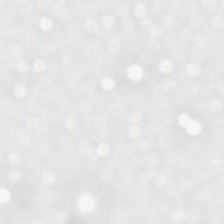0.5 µm per pixel. H&E stain.
This patch shows empty background.
